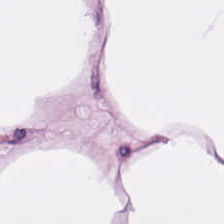Hematoxylin and eosin. This patch shows adipose.
